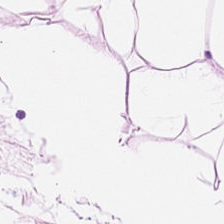Hematoxylin and eosin. Predominant tissue — adipose.
